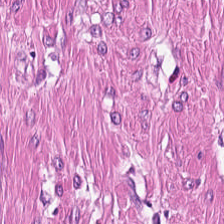Stain: hematoxylin and eosin.
Tissue type: smooth-muscle tissue.
